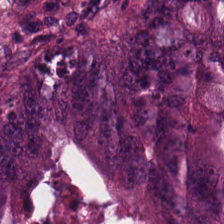H&E · 224×224 px patch. Q: What type of tissue is this?
A: Colorectal adenocarcinoma.
